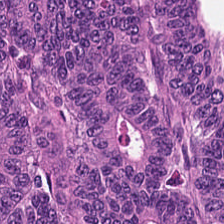Q: What does this patch show?
A: The field shows malignant epithelium.
